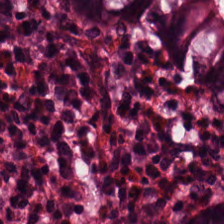H&E patch showing normal colonic mucosa.
